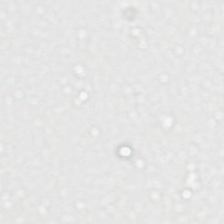FFPE. 0.5 µm/px. Hematoxylin-and-eosin stained section.
The content is no tissue.
